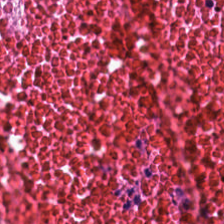Stain: H&E-stained tissue section.
Acquisition: WSI patch.
Predominant tissue: necrotic debris.
